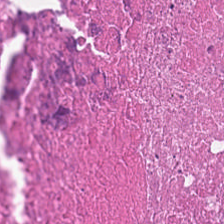H&E; FFPE tissue section; WSI patch — Predominantly debris.
